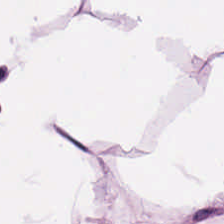H&E.
Classification = fat tissue.
